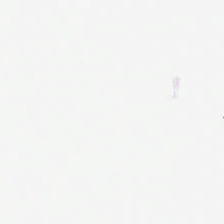H&E-stained tissue section; 0.5 microns per pixel — Q: What is shown in this field?
A: The field shows empty background.
